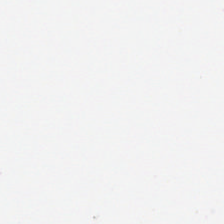Classification = no tissue.
